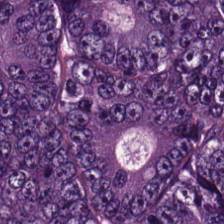Hematoxylin and eosin; 224×224 px patch. The tissue here is malignant epithelium.
